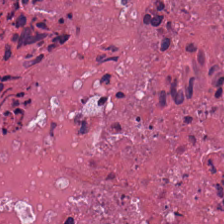0.5 µm per pixel; FFPE; H&E stain. This field is cellular debris.
